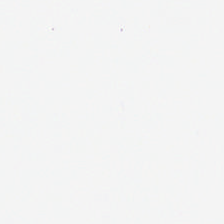H&E stain · brightfield microscopy · 20× equivalent magnification — Impression → background (no tissue).
